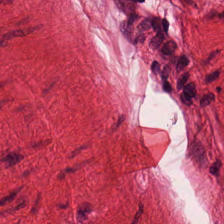Hematoxylin and eosin · brightfield — Predominant tissue: smooth-muscle tissue.
